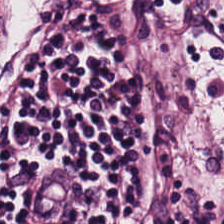Hematoxylin-and-eosin stained section — Lymphocyte aggregate.
